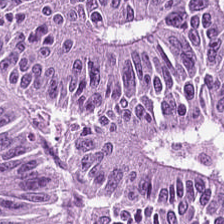H&E — Histology — tumor epithelium.
